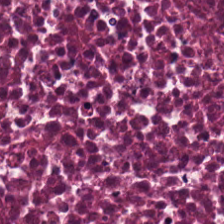H&E — Histology → necrotic debris.
